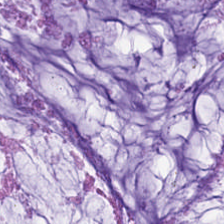Hematoxylin and eosin — Showing mucus.
